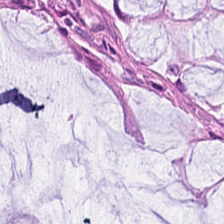Hematoxylin-and-eosin stained section — Showing normal colonic mucosa.
